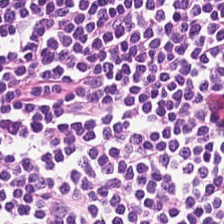H&E. This field is lymphocytes.
